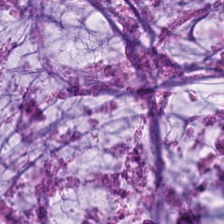Tissue type — mucus.
